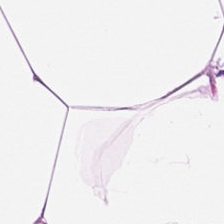Tissue class — adipose.
